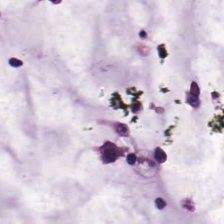0.5 microns per pixel. Hematoxylin-and-eosin stained section. Tissue type = mucin.
